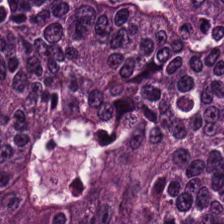Hematoxylin-and-eosin stained section. WSI patch. 20× equivalent magnification. This patch shows tumor epithelium.
